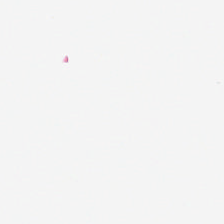0.5 µm per pixel · FFPE · H&E-stained tissue section.
Histology → background (no tissue).
